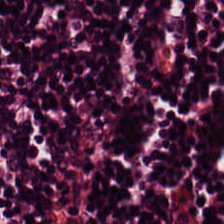H&E-stained tissue section — Showing lymphocyte aggregate.
